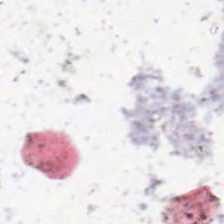H&E. Field content — empty background.
